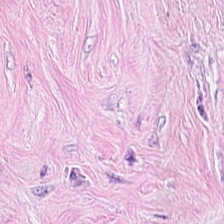H&E stain · 0.5 microns per pixel — Showing tumor-associated stroma.
